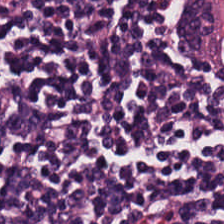Showing lymphocytic infiltrate.
